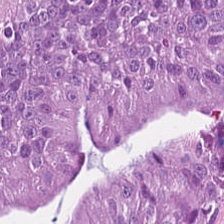Hematoxylin and eosin.
Tissue type = colorectal adenocarcinoma.
